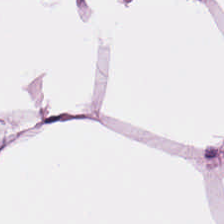H&E-stained tissue section — Predominantly adipocytes.
